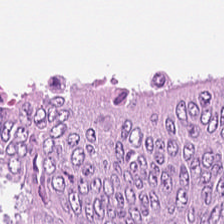Showing malignant epithelium.
